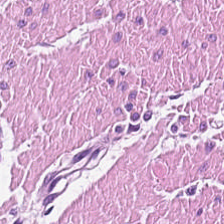H&E — Showing smooth-muscle tissue.
